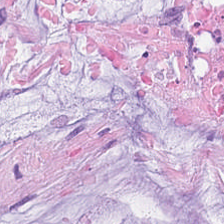H&E. The tissue here is extracellular mucin.
